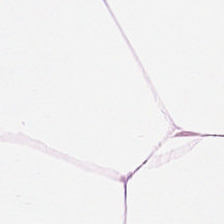H&E stain — This patch shows fat tissue.
